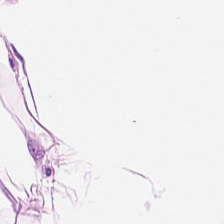Hematoxylin and eosin; formalin-fixed paraffin-embedded section; 0.5 microns per pixel.
{"tissue_type": "fat tissue"}
